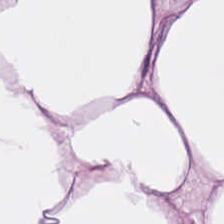Formalin-fixed paraffin-embedded section; hematoxylin-and-eosin stained section.
Tissue class: adipocytes.
